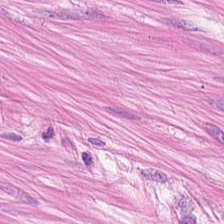20× equivalent magnification. H&E stain. FFPE.
{"tissue_type": "smooth muscle"}
